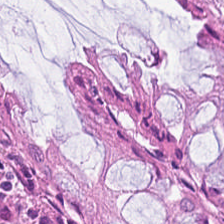Stain: H&E.
Classification: normal colon mucosa.
